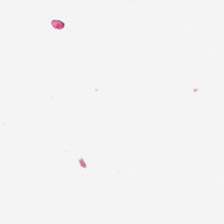Finding → background (no tissue).
